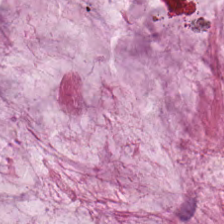FFPE tissue section. H&E-stained tissue section — The predominant tissue is mucus.
